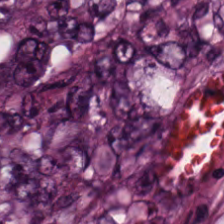Stain: H&E.
Tile size: 224×224 px patch.
Tissue: colorectal adenocarcinoma epithelium.
